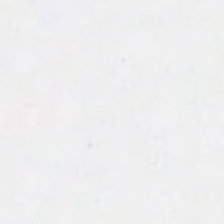Hematoxylin-and-eosin stained section. 0.5 microns per pixel — Histology — background.
